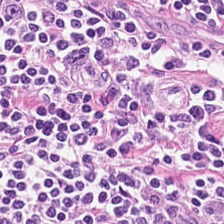{"tissue_type": "lymphocytic infiltrate"}
